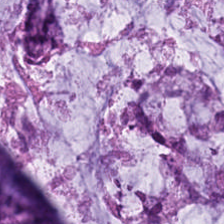FFPE; H&E — Q: What tissue is shown?
A: The field shows mucus.
